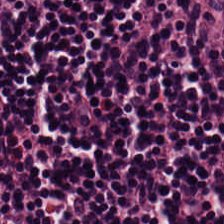FFPE tissue section · H&E stain · 224×224 px patch. Predominant tissue = lymphoid infiltrate.
